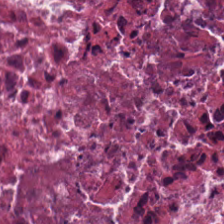Stain: H&E stain.
Tissue type: necrotic debris.
